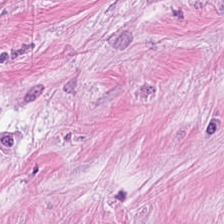Stain: hematoxylin and eosin.
Tile size: 224×224 px patch.
Acquisition: whole-slide-image patch.
Predominant tissue: desmoplastic stroma.
